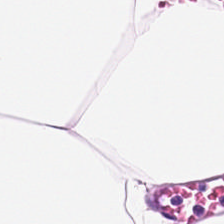Classification: adipocytes.
